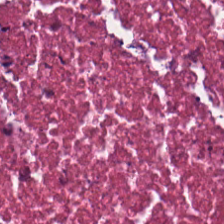Tissue class = cellular debris.
